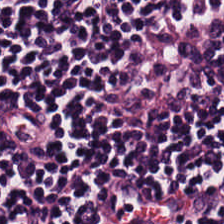H&E stain — Q: What tissue type is shown here?
A: Lymphocytes.
